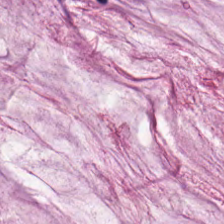Showing mucin.
